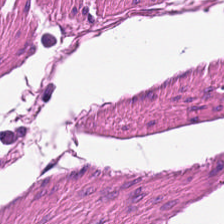224×224 px tile · H&E-stained tissue section · FFPE. Q: What is the predominant tissue type?
A: Muscularis.
